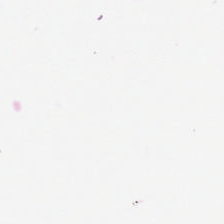Hematoxylin-and-eosin stained section · FFPE tissue section — Field content = no tissue.
